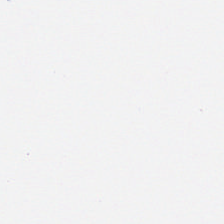Hematoxylin-and-eosin stained section · 224×224 px patch. This field is background (no tissue).
